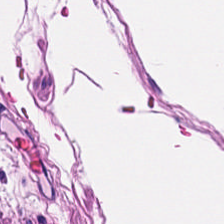0.5 µm/px; H&E-stained tissue section; FFPE tissue section. Showing smooth-muscle tissue.
